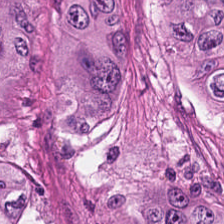Hematoxylin-and-eosin stained section — The predominant tissue is adenocarcinoma.
